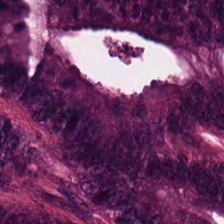FFPE tissue section; hematoxylin and eosin; 0.5 µm per pixel.
Predominantly malignant epithelium.
